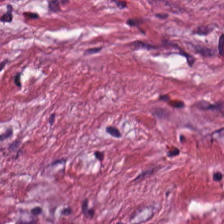20× equivalent magnification. H&E stain. Brightfield. {"tissue_type": "tumor stroma"}
